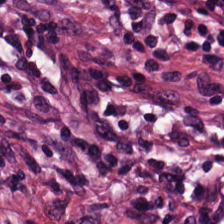This field is tumor-associated stroma.
